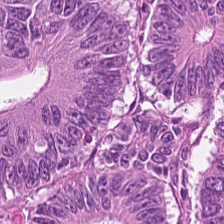224×224 px tile. H&E. Tissue type = colorectal adenocarcinoma.
